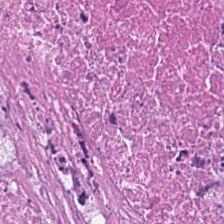Hematoxylin-and-eosin stained section. Brightfield. Tissue type: debris.
